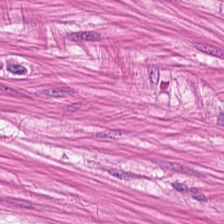H&E-stained tissue section. FFPE tissue section.
Histology — muscularis.
